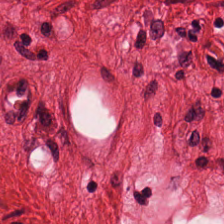The tissue here is smooth muscle.
